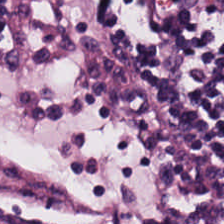This patch shows lymphocytes.
